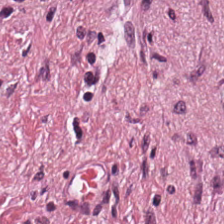Hematoxylin-and-eosin stained section. 0.5 microns per pixel. The predominant tissue is desmoplastic stroma.
